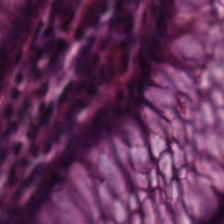Stain: H&E stain.
Tissue type: normal colonic mucosa.
